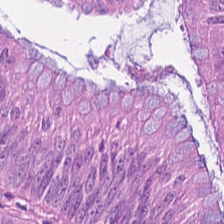Hematoxylin-and-eosin stained section.
Histology — adenocarcinoma.
